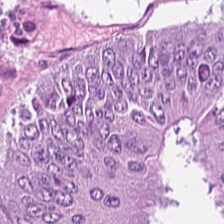Hematoxylin-and-eosin stained section. Finding → tumor epithelium.
